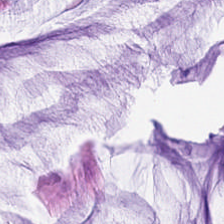H&E — This field is mucus.
